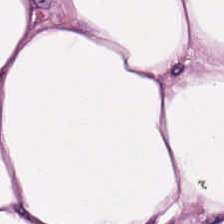H&E-stained tissue section — Classification = adipose.
